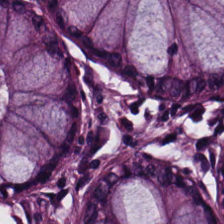H&E — Predominantly benign colonic mucosa.
